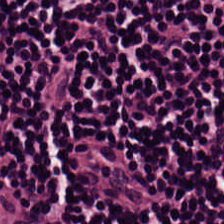Tissue class = lymphocytes.
